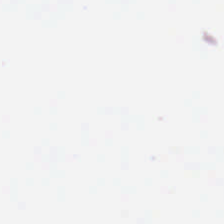H&E-stained tissue section. Background — no tissue in this field.
